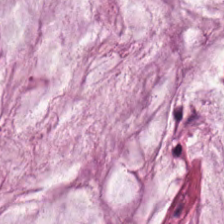Finding — mucin.
